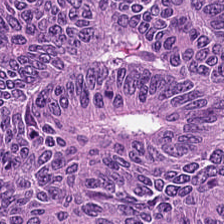Hematoxylin-and-eosin section: malignant epithelium.
